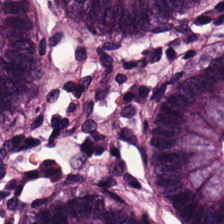H&E stain — Q: What does this patch show?
A: It is benign colonic mucosa.
